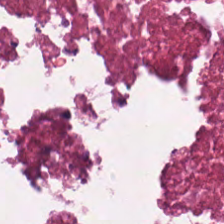Hematoxylin-and-eosin stained section. Debris.
